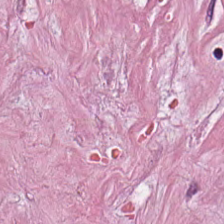H&E stain. 224×224 pixel tile — Q: What type of tissue is this?
A: It is cancer-associated stroma.
